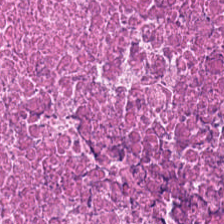Hematoxylin and eosin. The tissue here is cellular debris.
